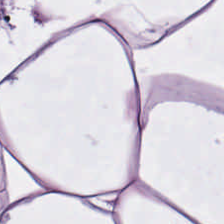Predominantly adipose.
